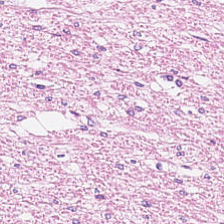Finding — smooth-muscle tissue.
